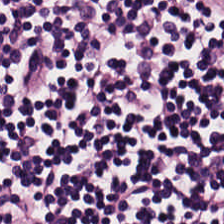Stain: hematoxylin and eosin.
Tissue: lymphocytic infiltrate.
